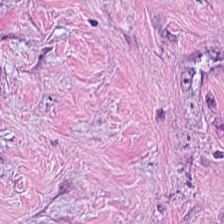Hematoxylin and eosin.
The predominant tissue is desmoplastic stroma.
